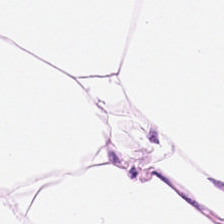224×224 px tile. Brightfield microscopy. Hematoxylin-and-eosin stained section — This field is adipocytes.
